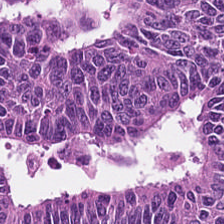H&E stain.
{"tissue_type": "colorectal adenocarcinoma"}
